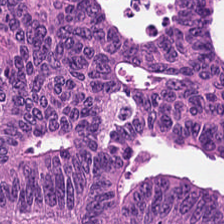H&E-stained tissue section showing colorectal adenocarcinoma epithelium.
